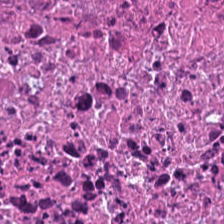{"tissue_type": "debris"}
